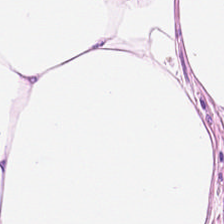0.5 µm per pixel · whole-slide-image patch · hematoxylin-and-eosin stained section. Predominantly adipose.
